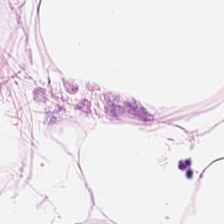Brightfield; H&E stain.
{"tissue_type": "fat tissue"}
